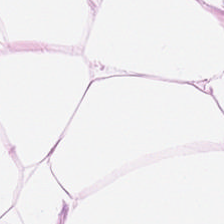Brightfield microscopy · hematoxylin-and-eosin stained section · 224×224 px tile — The tissue here is adipocytes.
